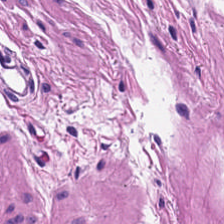Stain: hematoxylin-and-eosin stained section.
Tissue type: smooth muscle.
